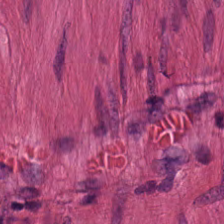Hematoxylin and eosin. Formalin-fixed paraffin-embedded section. Tissue class: muscularis.
